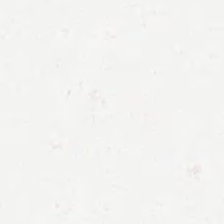Finding — empty background.
